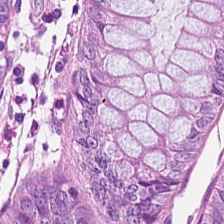H&E-stained tissue section. 224×224 px tile. 0.5 microns per pixel. {"tissue_type": "normal colonic mucosa"}
